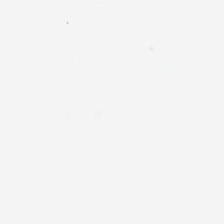H&E stain. This patch shows background (no tissue).
